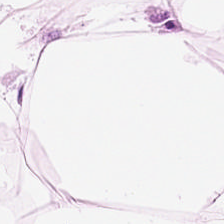224×224 pixel tile. H&E. 20× equivalent magnification. Tissue = adipose tissue.
